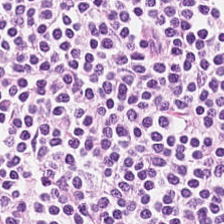Lymphocyte aggregate.
